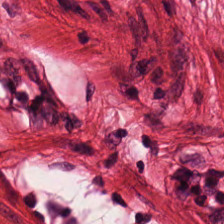FFPE. H&E stain. 224×224 pixel tile.
Q: What tissue type is shown here?
A: Smooth muscle.
